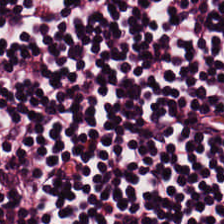Stain: H&E stain.
Acquisition: whole-slide-image patch.
Classification: lymphocytic infiltrate.
